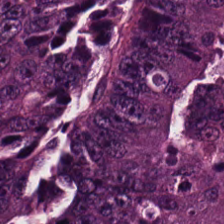Adenocarcinoma.
